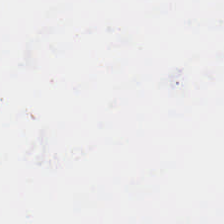Stain: hematoxylin-and-eosin stained section.
Preparation: formalin-fixed paraffin-embedded section.
Acquisition: WSI patch.
Content: no tissue.
